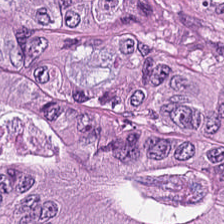Tissue type — tumor epithelium.
